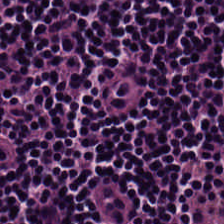Hematoxylin-and-eosin stained section · formalin-fixed paraffin-embedded section. Showing lymphoid infiltrate.
